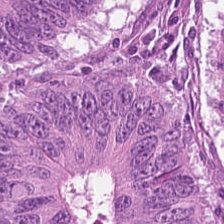Hematoxylin and eosin — This patch shows adenocarcinoma.
